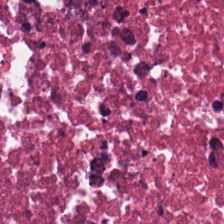H&E-stained tissue section. The tissue here is necrotic debris.
